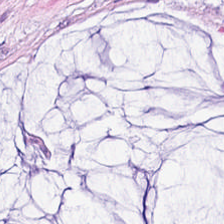0.5 µm/px · H&E-stained tissue section · formalin-fixed paraffin-embedded section. Tissue — mucus.
